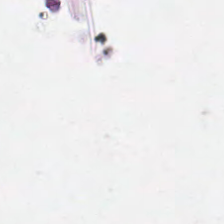H&E-stained tissue section — Q: What is shown in this field?
A: No tissue.
